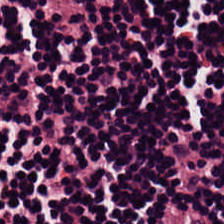224×224 px tile; H&E.
Tissue class — lymphocyte aggregate.
